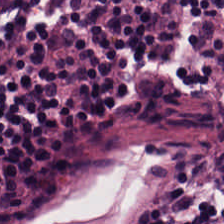Stain: hematoxylin and eosin.
Preparation: formalin-fixed paraffin-embedded section.
Tissue: lymphocytic infiltrate.
